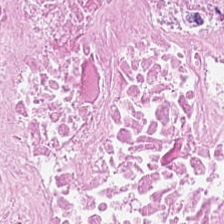224×224 px tile. 0.5 µm per pixel. H&E — Classification — necrotic debris.
